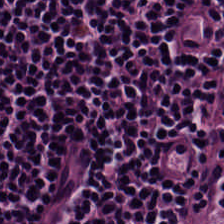Histology → lymphocyte aggregate.
